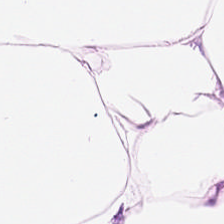Hematoxylin and eosin — Tissue type: fat tissue.
